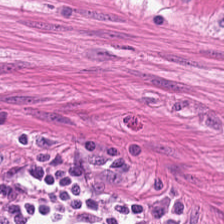Hematoxylin-and-eosin stained section. Predominantly smooth-muscle tissue.
